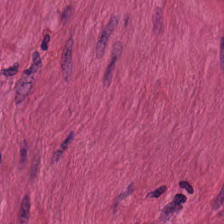Hematoxylin-and-eosin stained section · 224×224 px tile.
Tissue type — smooth-muscle tissue.
